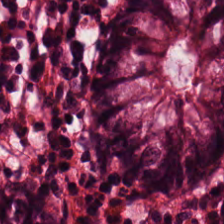20× equivalent magnification · hematoxylin-and-eosin stained section — Q: What does this patch show?
A: The field shows normal colon mucosa.
